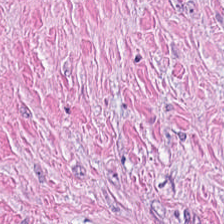H&E-stained tissue section.
Classification: tumor-associated stroma.
